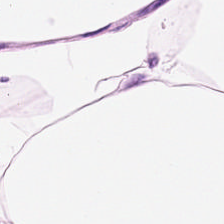Stain: hematoxylin and eosin.
Preparation: FFPE.
Tile size: 224×224 pixel tile.
Tissue class: adipose.
